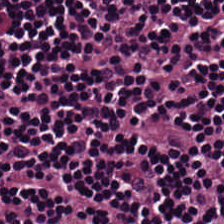H&E — lymphoid infiltrate.
